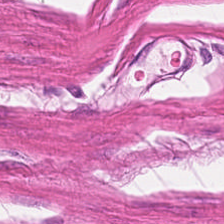Q: What does this patch show?
A: The field shows smooth-muscle tissue.
